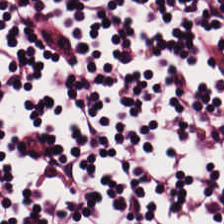Predominant tissue — lymphocyte aggregate.
